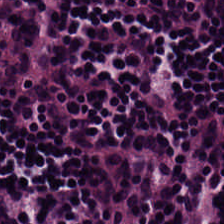Histology — lymphocyte aggregate.
